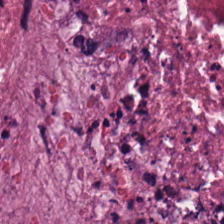H&E stain.
Histology → debris.
